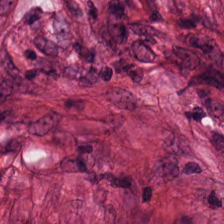Hematoxylin-and-eosin stained section.
Q: What tissue type is shown here?
A: The field shows tumor-associated stroma.
